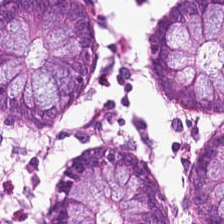H&E. This field is benign colonic mucosa.
